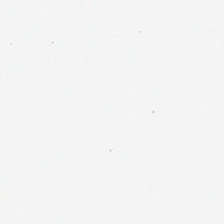This field is background (no tissue).
